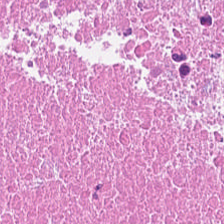H&E.
This patch shows debris.
